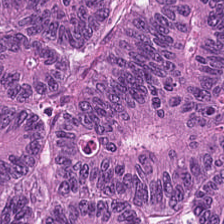FFPE. 20× equivalent magnification. H&E-stained tissue section.
This field is malignant epithelium.
